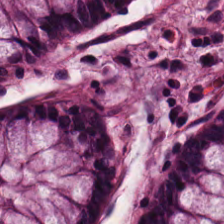Formalin-fixed paraffin-embedded section. H&E. Whole-slide-image patch. Predominant tissue: non-neoplastic colon mucosa.
